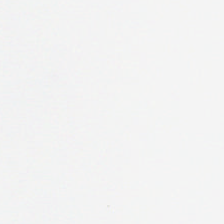H&E-stained tissue section.
This field is background (no tissue).
